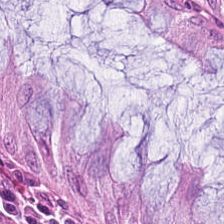H&E-stained tissue section; brightfield microscopy; 0.5 microns per pixel. Q: What is the predominant tissue type?
A: This is normal colon mucosa.
